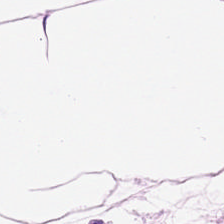H&E stain. Histology — adipose.
